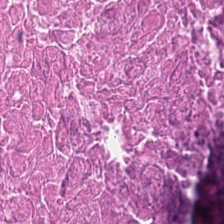H&E-stained tissue section · WSI patch. The tissue here is cellular debris.
